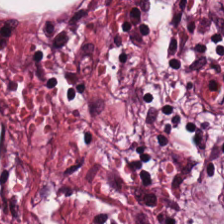H&E-stained tissue section.
Q: Classify this patch.
A: It is tumor-associated stroma.
